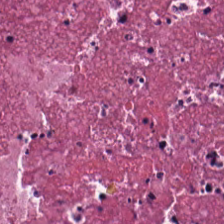H&E. 20× equivalent magnification — Tissue type = cellular debris.
